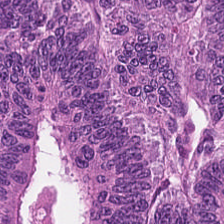Showing adenocarcinoma.
